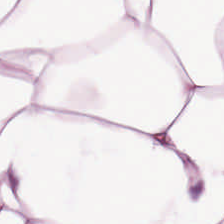Brightfield microscopy; H&E stain. Tissue class = adipose.
